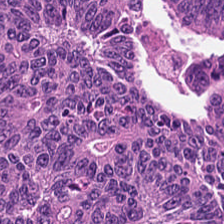H&E — Q: What does this patch show?
A: This is tumor epithelium.
